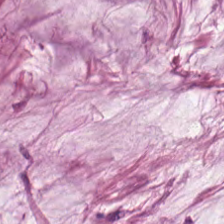H&E-stained tissue section; brightfield.
Tissue type — mucin.
